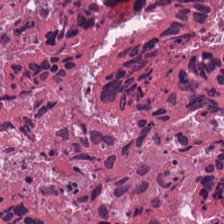FFPE tissue section. H&E-stained tissue section. 20× equivalent magnification.
Predominant tissue: debris.
